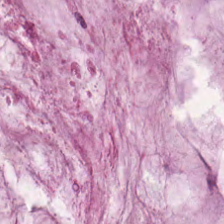Whole-slide-image patch. H&E stain — The predominant tissue is extracellular mucin.
